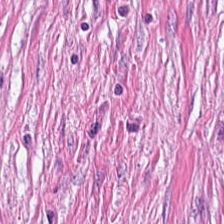Hematoxylin-and-eosin stained section. 224×224 px tile. The predominant tissue is desmoplastic stroma.
